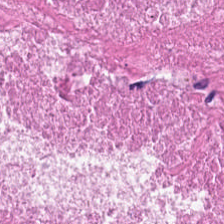Hematoxylin-and-eosin stained section. Debris.
